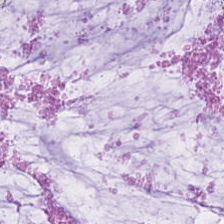H&E stain · 224×224 pixel tile.
The predominant tissue is mucus.
